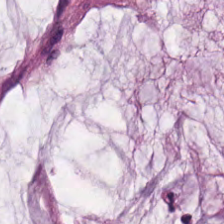0.5 µm/px. H&E. FFPE tissue section. The tissue is mucin.
